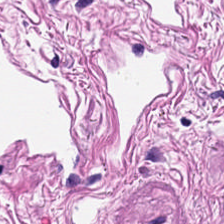Stain: hematoxylin and eosin.
Tissue type: smooth-muscle tissue.
